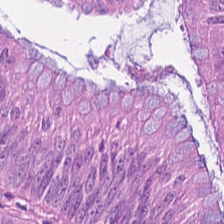FFPE tissue section; H&E-stained tissue section — Q: Classify this patch.
A: Colorectal adenocarcinoma.
